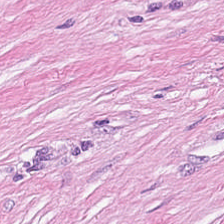WSI patch. H&E. 224×224 px tile. Predominant tissue = tumor-associated stroma.
